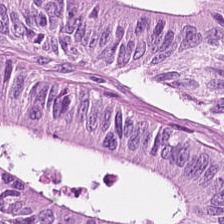H&E · 0.5 µm per pixel. Tissue — colorectal adenocarcinoma epithelium.
